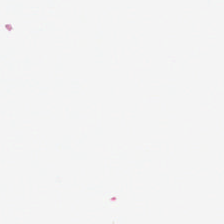Background — no tissue in this field.
